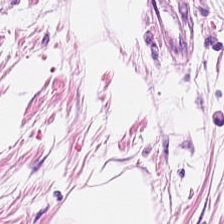H&E-stained tissue section; FFPE tissue section; brightfield microscopy.
Tissue: adipose.
